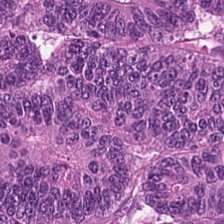H&E-stained tissue section.
The tissue here is colorectal adenocarcinoma.
